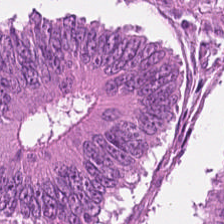{"tissue_type": "colorectal adenocarcinoma"}
